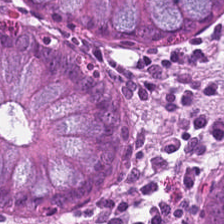Hematoxylin and eosin.
Predominant tissue: non-neoplastic colon mucosa.
